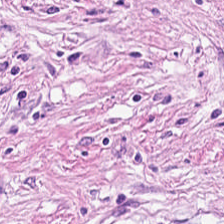Hematoxylin-and-eosin section: desmoplastic stroma.
